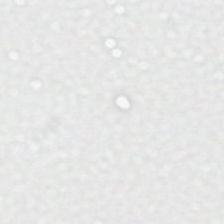Hematoxylin-and-eosin stained section; FFPE. Histology — no tissue.
